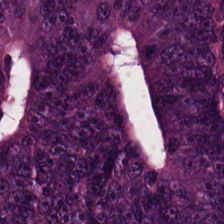H&E stain; whole-slide-image patch. The tissue class is adenocarcinoma.
